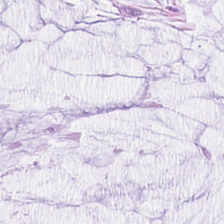H&E stain — This field is mucus.
